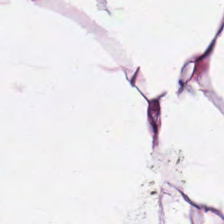H&E-stained tissue section.
Tissue type = adipose.
